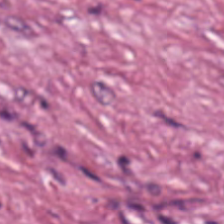Stain: hematoxylin-and-eosin stained section.
Predominant tissue: tumor-associated stroma.
